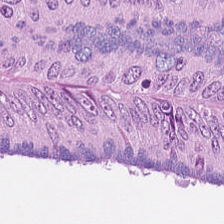H&E.
Q: What is the predominant tissue type?
A: It is colorectal adenocarcinoma epithelium.
